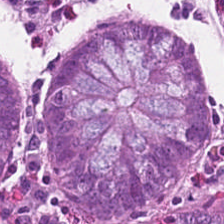H&E-stained tissue section. {"tissue_type": "benign colonic mucosa"}
